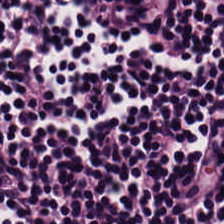Stain: H&E.
Tissue class: lymphocytic infiltrate.
